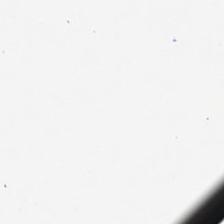Stain: hematoxylin-and-eosin stained section.
Tile size: 224×224 pixel tile.
Resolution: 0.5 µm/px.
Field content: empty background.
